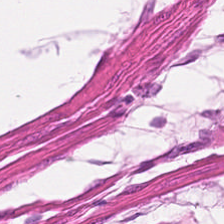Hematoxylin and eosin — Q: What is shown here?
A: It is smooth muscle.
